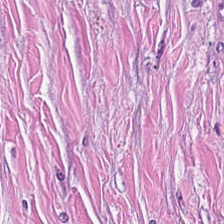FFPE; hematoxylin-and-eosin stained section; 20× equivalent magnification.
Predominant tissue: tumor stroma.
